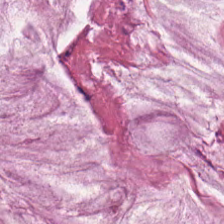Stain: H&E.
Tile size: 224×224 px tile.
Acquisition: WSI patch.
Tissue: extracellular mucin.
